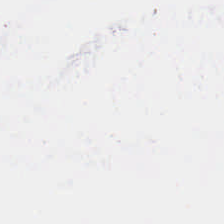H&E-stained tissue section.
Background — no tissue in this field.
